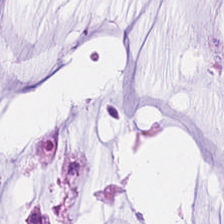H&E stain · FFPE tissue section. Predominantly extracellular mucin.
